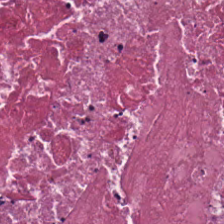Q: What does this patch show?
A: This is cellular debris.
